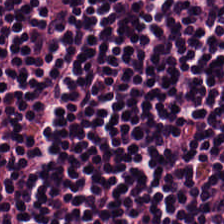Hematoxylin-and-eosin stained section — This patch shows lymphocytic infiltrate.
